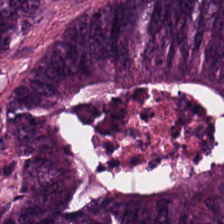Q: What is the predominant tissue type?
A: The field shows malignant epithelium.
